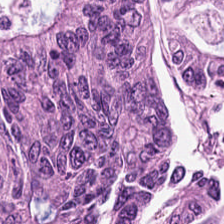Brightfield microscopy; hematoxylin and eosin — Tissue type — colorectal adenocarcinoma.
